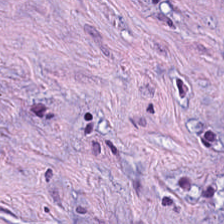Hematoxylin and eosin — Q: What tissue is shown?
A: This is tumor-associated stroma.
